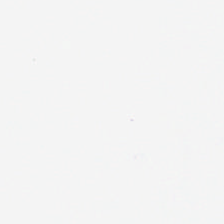H&E — Impression → background.
